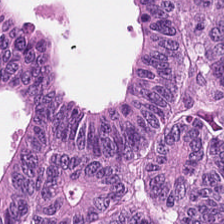Formalin-fixed paraffin-embedded section · H&E stain · WSI patch.
The tissue here is adenocarcinoma.
